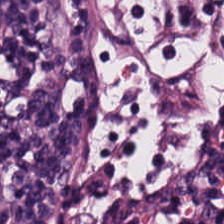H&E-stained tissue section · whole-slide-image patch. Tissue class — lymphocytes.
